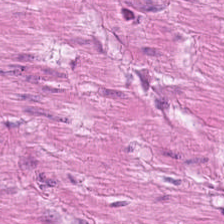224×224 px tile · 0.5 microns per pixel · H&E. Q: What tissue is shown?
A: Muscularis.
